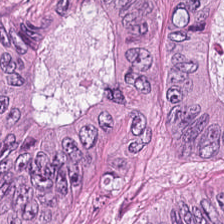Hematoxylin-and-eosin section: tumor epithelium.
